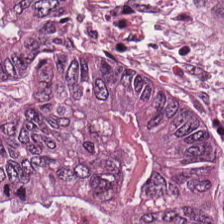The classification is malignant epithelium.
